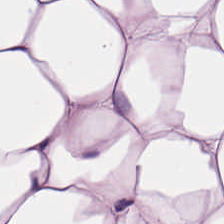FFPE tissue section; H&E.
The predominant tissue is adipose tissue.
